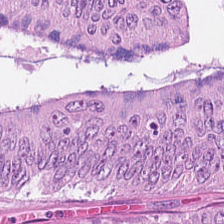Brightfield. Hematoxylin and eosin.
The predominant tissue is colorectal adenocarcinoma.
